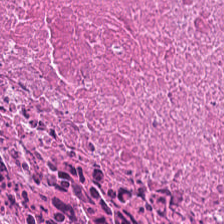Hematoxylin-and-eosin stained section.
The predominant tissue is debris.
